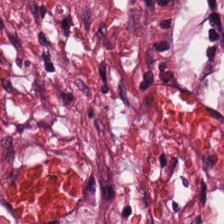Hematoxylin and eosin — Histology — desmoplastic stroma.
